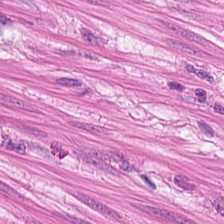20× equivalent magnification. H&E-stained tissue section — The tissue here is muscularis.
